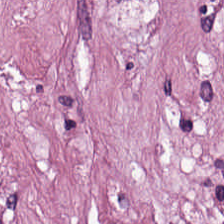H&E stain.
Tissue — cancer-associated stroma.
